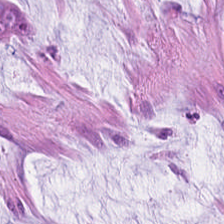Tissue type: extracellular mucin.
